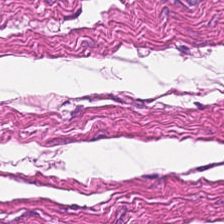0.5 microns per pixel · 224×224 pixel tile · hematoxylin and eosin — Tissue: smooth muscle.
